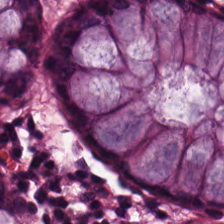224×224 pixel tile. Hematoxylin-and-eosin stained section. Q: What tissue is shown?
A: This is normal colonic mucosa.
